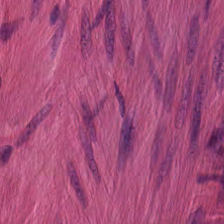20× equivalent magnification · 224×224 px patch · H&E-stained tissue section — The predominant tissue is smooth muscle.
